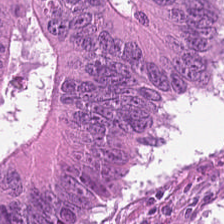Brightfield; H&E stain; 224×224 px patch.
Impression — adenocarcinoma.
